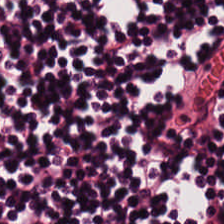H&E stain · 0.5 µm/px · 224×224 pixel tile. Showing lymphoid infiltrate.
